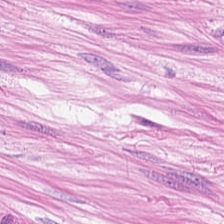Hematoxylin and eosin; formalin-fixed paraffin-embedded section. Tissue: muscularis.
